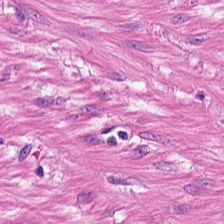Predominantly muscularis.
